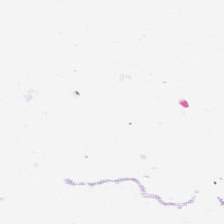H&E · 224×224 pixel tile.
Classification: no tissue.
